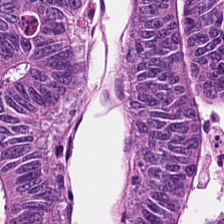H&E stain — Tissue = adenocarcinoma.
